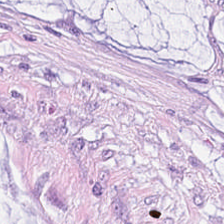Stain: H&E.
Tissue: extracellular mucin.
